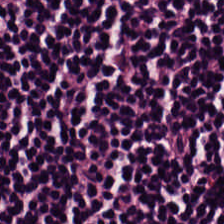H&E-stained tissue section. Tissue class: lymphoid infiltrate.
